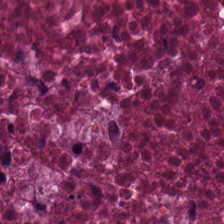Formalin-fixed paraffin-embedded section; H&E — Showing debris.
